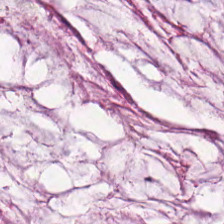224×224 px tile · FFPE tissue section · H&E stain. The tissue type is mucus.
